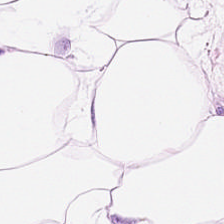Q: What does this patch show?
A: It is adipose.
